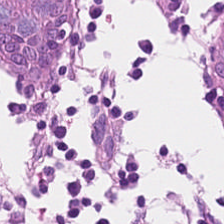Stain: H&E.
Acquisition: brightfield.
Resolution: 0.5 µm per pixel.
Tissue: normal colonic mucosa.
